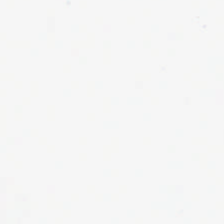H&E.
No tissue present; background only.
